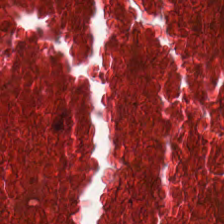Hematoxylin-and-eosin stained section. 224×224 px tile.
Showing cellular debris.
